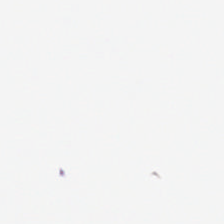Stain: H&E stain.
Tile size: 224×224 px patch.
Content: empty background.
